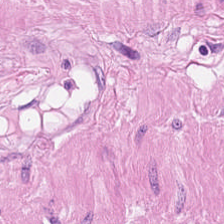Q: What is the predominant tissue type?
A: It is smooth-muscle tissue.
